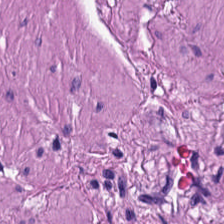FFPE tissue section; 224×224 pixel tile; H&E.
Predominant tissue: smooth-muscle tissue.
